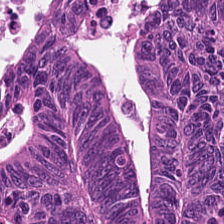Hematoxylin and eosin; FFPE. Q: What does this patch show?
A: The field shows malignant epithelium.
